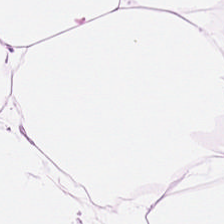Hematoxylin-and-eosin stained section. This patch shows fat tissue.
